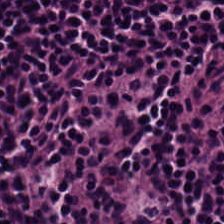Hematoxylin-and-eosin stained section — The tissue class is lymphocytic infiltrate.
